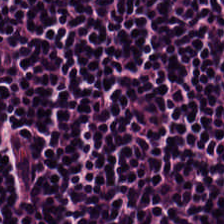Stain: H&E.
Tissue: lymphocyte aggregate.
